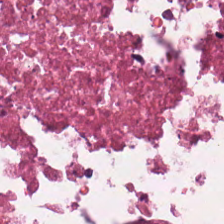H&E · brightfield. Histology — debris.
